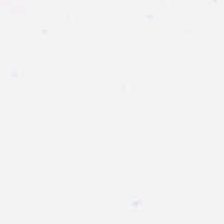Hematoxylin-and-eosin stained section — The classification is no tissue.
